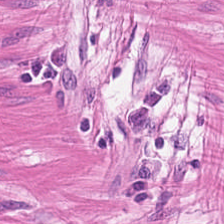Stain: H&E-stained tissue section.
Tile size: 224×224 px patch.
Tissue class: smooth-muscle tissue.
